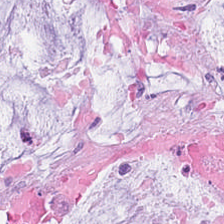Hematoxylin-and-eosin stained section. The tissue type is mucus.
